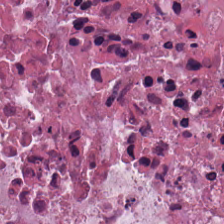H&E-stained tissue section. Tissue type: necrotic debris.
